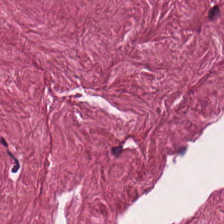H&E-stained tissue section. FFPE tissue section — Impression — tumor-associated stroma.
